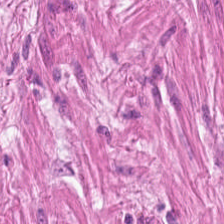Hematoxylin and eosin · 0.5 µm per pixel · 224×224 px patch.
Showing smooth-muscle tissue.
